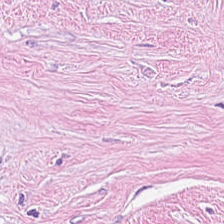0.5 µm/px; hematoxylin-and-eosin stained section. {"tissue_type": "desmoplastic stroma"}
